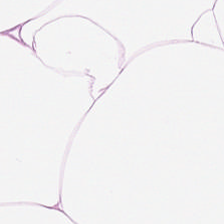FFPE; H&E; WSI patch. Showing fat tissue.
